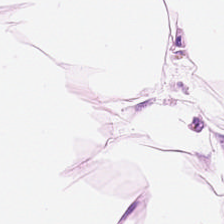Hematoxylin and eosin — Histology — adipose.
